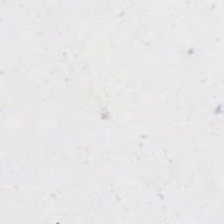H&E-stained tissue section; FFPE tissue section; brightfield microscopy.
{"content": "background"}
